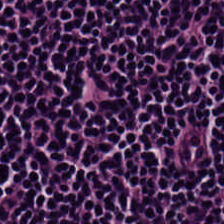Impression → lymphocyte aggregate.
